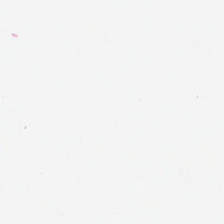H&E.
Q: What is shown here?
A: The field shows background.
